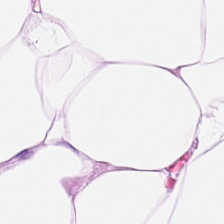Stain: hematoxylin and eosin.
Predominant tissue: adipose tissue.
